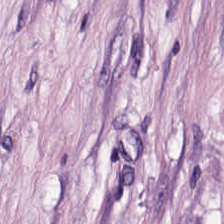H&E stain — Predominantly tumor stroma.
